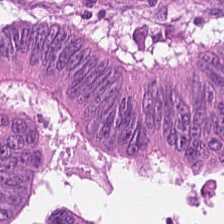H&E. Predominantly tumor epithelium.
